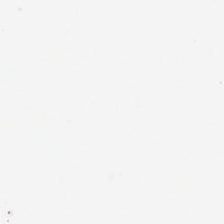H&E-stained tissue section; formalin-fixed paraffin-embedded section. Impression — empty background.
